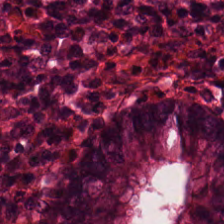Stain: hematoxylin and eosin.
Acquisition: whole-slide-image patch.
Resolution: 20× equivalent magnification.
Tissue type: normal colonic mucosa.
